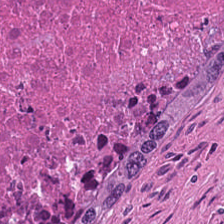0.5 µm/px · 224×224 pixel tile · H&E stain.
The tissue type is debris.
